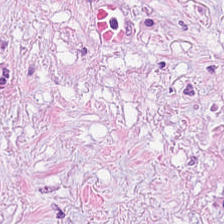Hematoxylin-and-eosin stained section. Q: What is shown here?
A: The field shows desmoplastic stroma.
